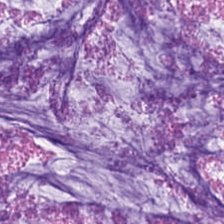Stain: H&E.
Tissue type: mucus.
